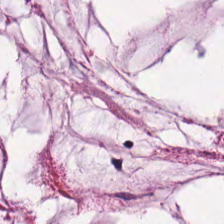Finding → mucin.
